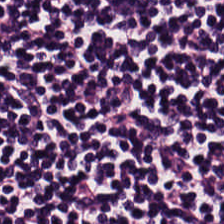Q: What tissue type is shown here?
A: Lymphoid infiltrate.
